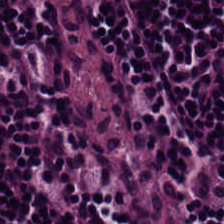Stain: hematoxylin and eosin.
Tissue type: lymphoid infiltrate.
